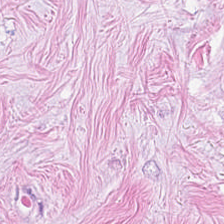H&E stain.
Predominantly tumor-associated stroma.
